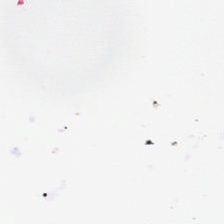Whole-slide-image patch · H&E.
{"content": "no tissue"}
